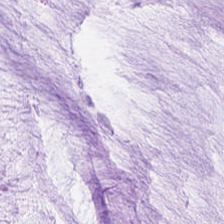Hematoxylin-and-eosin section: mucin.
